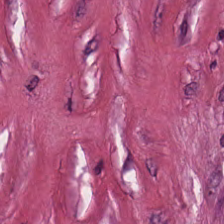Stain: H&E stain.
Tissue: desmoplastic stroma.
